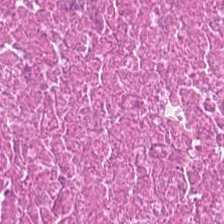Stain: hematoxylin and eosin.
Resolution: 0.5 µm per pixel.
Acquisition: whole-slide-image patch.
Tissue type: debris.
